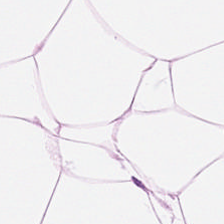{"tissue_type": "fat tissue"}
